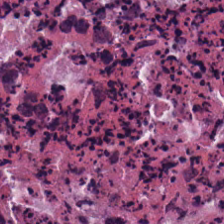Q: What is shown in this field?
A: This is debris.
